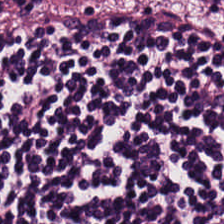Formalin-fixed paraffin-embedded section · H&E-stained tissue section.
Predominantly lymphocytes.
